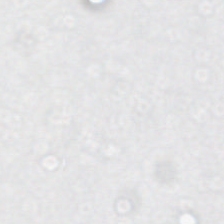Empty field — background.
